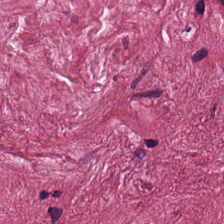The predominant tissue is desmoplastic stroma.
